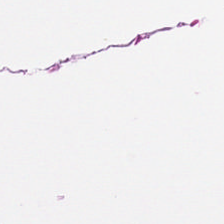Hematoxylin and eosin — This patch shows smooth-muscle tissue.
